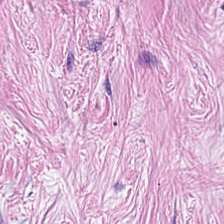Stain: H&E.
Tissue class: desmoplastic stroma.
